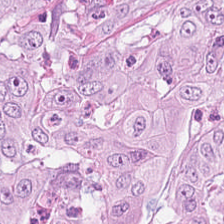Q: What tissue type is shown here?
A: The field shows malignant epithelium.
